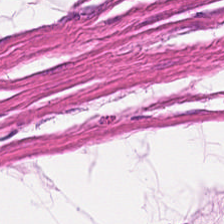Classification — smooth muscle.
